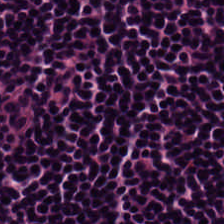FFPE · 0.5 microns per pixel · H&E stain — Tissue type = lymphoid infiltrate.
